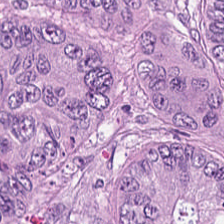Hematoxylin-and-eosin stained section.
{"tissue_type": "colorectal adenocarcinoma"}
